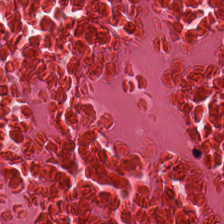{"tissue_type": "debris"}
